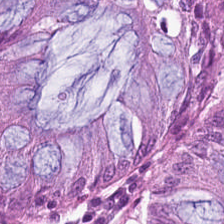Hematoxylin and eosin · FFPE — Predominantly benign colonic mucosa.
